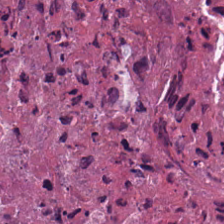H&E stain — Tissue — necrotic debris.
